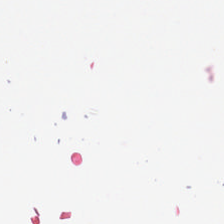Stain: H&E.
Content: background (no tissue).
